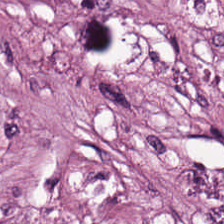H&E-stained tissue section. Tissue — tumor-associated stroma.
